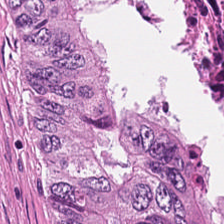Hematoxylin and eosin · 0.5 µm/px — The tissue here is debris.
